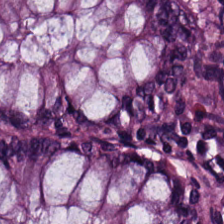H&E stain.
Histology → non-neoplastic colon mucosa.
